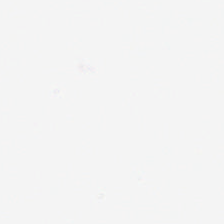Stain: H&E stain.
Acquisition: WSI patch.
Tile size: 224×224 px tile.
Classification: background.
